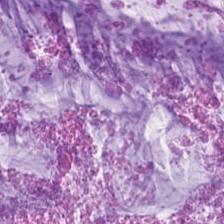H&E stain.
Q: What tissue type is shown here?
A: Extracellular mucin.
